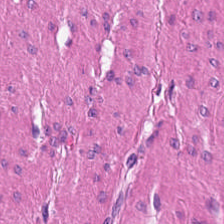Hematoxylin and eosin.
Histology — smooth-muscle tissue.
